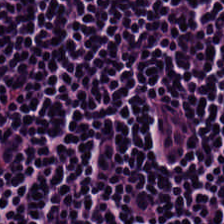Histology → lymphoid infiltrate.
